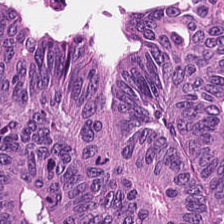Hematoxylin-and-eosin stained section.
Tissue type: colorectal adenocarcinoma epithelium.
